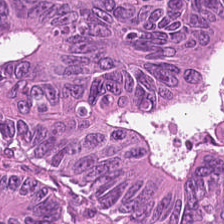Hematoxylin-and-eosin stained section — Tissue class: colorectal adenocarcinoma.
